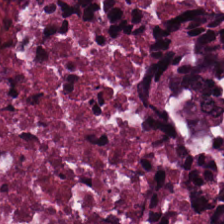Whole-slide-image patch; hematoxylin and eosin — Predominant tissue: cellular debris.
